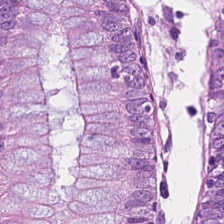Hematoxylin-and-eosin stained section. Benign colonic mucosa.
